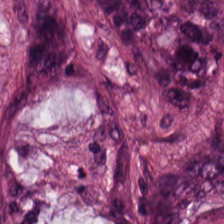FFPE. H&E stain.
Predominantly colorectal adenocarcinoma.
